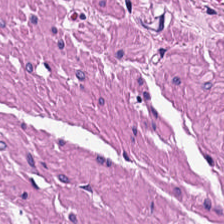Hematoxylin-and-eosin stained section.
Tissue type — smooth-muscle tissue.
